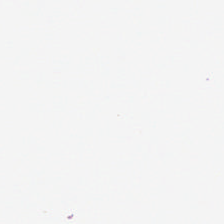Brightfield microscopy · H&E-stained tissue section · 224×224 px patch.
Finding — empty background.
